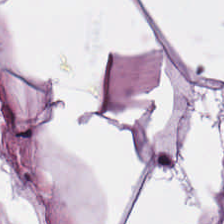H&E stain — Tissue type: adipose.
